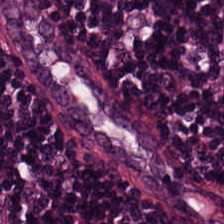Hematoxylin-and-eosin stained section; FFPE tissue section. Showing lymphocytes.
